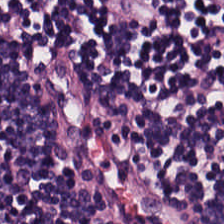20× equivalent magnification. Hematoxylin-and-eosin stained section. FFPE — Predominant tissue: lymphocytic infiltrate.
